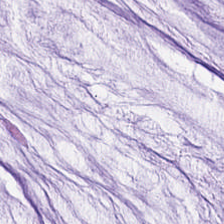H&E stain.
Showing mucin.
